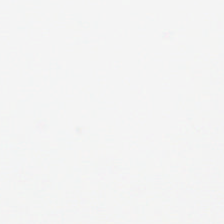H&E-stained tissue section — Classification: background.
